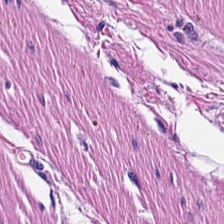Hematoxylin and eosin. Predominantly smooth muscle.
